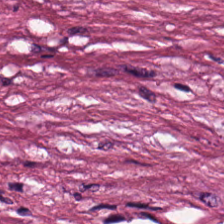{"tissue_type": "cellular debris"}
